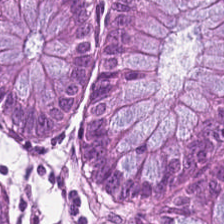Stain: H&E stain.
Predominant tissue: non-neoplastic colon mucosa.
